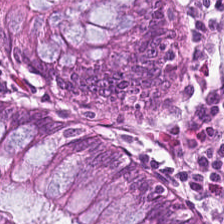Brightfield; H&E stain — Classification: normal colonic mucosa.
